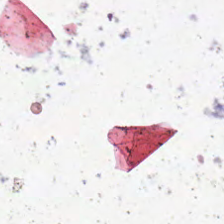Hematoxylin and eosin. This patch shows background.
